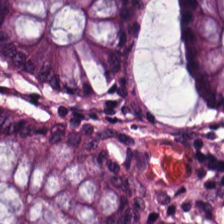This field is benign colonic mucosa.
